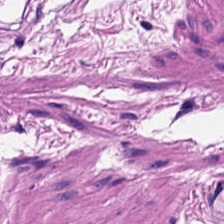Hematoxylin and eosin; formalin-fixed paraffin-embedded section — Showing muscularis.
